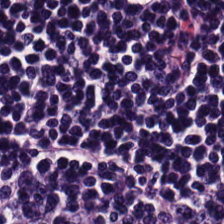Whole-slide-image patch · hematoxylin-and-eosin stained section · 224×224 px patch — The tissue here is lymphoid infiltrate.
